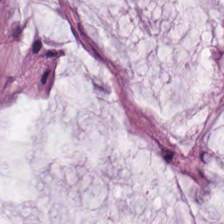H&E-stained tissue section — The tissue here is mucin.
